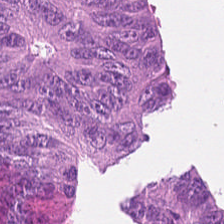Formalin-fixed paraffin-embedded section · H&E stain — The predominant tissue is malignant epithelium.
